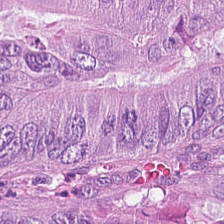H&E stain — The tissue here is colorectal adenocarcinoma epithelium.
